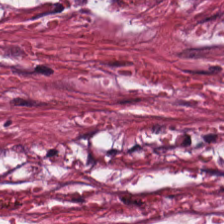FFPE · H&E-stained tissue section — Showing tumor-associated stroma.
